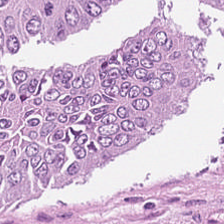Stain: hematoxylin-and-eosin stained section.
Tissue type: tumor epithelium.
